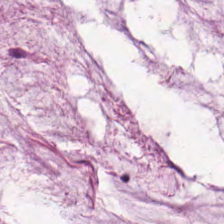H&E.
This field is mucin.
